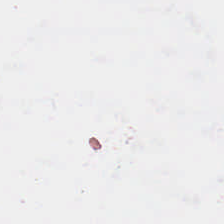H&E-stained tissue section. Histology — background.
